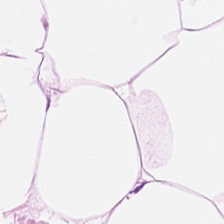Hematoxylin and eosin.
This patch shows adipose tissue.
